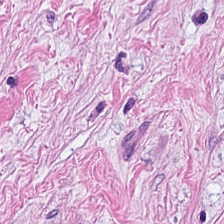Whole-slide-image patch. Hematoxylin and eosin. 0.5 microns per pixel — The classification is desmoplastic stroma.
